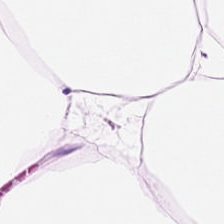H&E stain.
The tissue is adipocytes.
